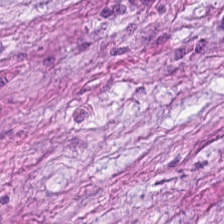Histology — tumor stroma.
